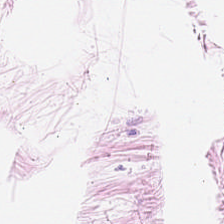H&E-stained tissue section — Predominantly adipocytes.
